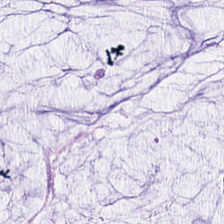H&E stain; 224×224 px patch. The tissue type is mucus.
